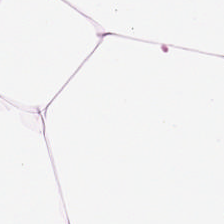H&E · brightfield microscopy.
This patch shows adipocytes.
